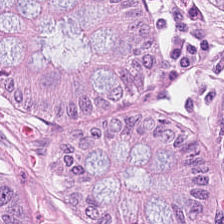Hematoxylin and eosin. Q: What is the predominant tissue type?
A: It is normal colon mucosa.
